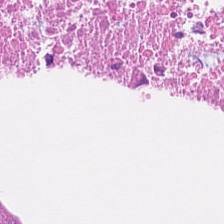Hematoxylin and eosin. This field is debris.
